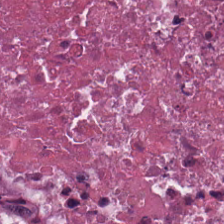H&E-stained tissue section — Showing cellular debris.
